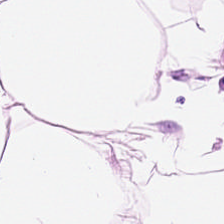0.5 µm/px · hematoxylin-and-eosin stained section.
The predominant tissue is adipocytes.
